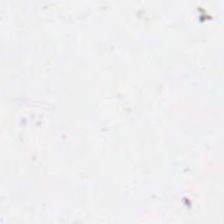H&E stain. Empty field — background.
